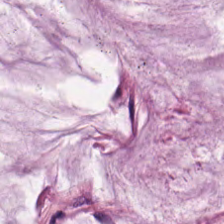This field is extracellular mucin.
